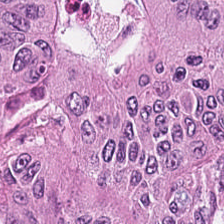Hematoxylin-and-eosin stained section — Q: What type of tissue is this?
A: This is tumor epithelium.
